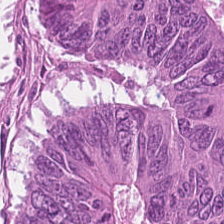{"tissue_type": "colorectal adenocarcinoma epithelium"}
